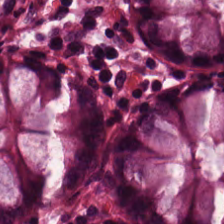Formalin-fixed paraffin-embedded section. H&E-stained tissue section — The tissue class is normal colon mucosa.
